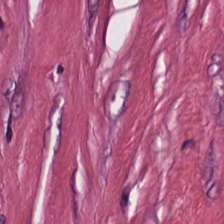Q: Classify this patch.
A: Cancer-associated stroma.
